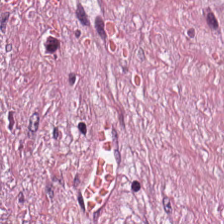Q: What tissue type is shown here?
A: Cancer-associated stroma.
